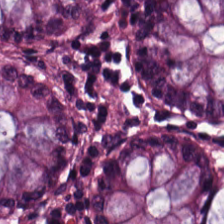Hematoxylin and eosin. 224×224 px patch. Q: What tissue is shown?
A: This is normal colon mucosa.
